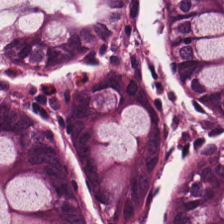Stain: H&E-stained tissue section.
Resolution: 0.5 microns per pixel.
Preparation: formalin-fixed paraffin-embedded section.
Classification: normal colon mucosa.
